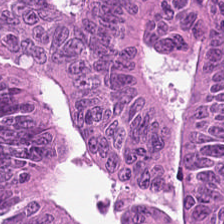0.5 microns per pixel; whole-slide-image patch; H&E-stained tissue section.
Tissue class: colorectal adenocarcinoma epithelium.
